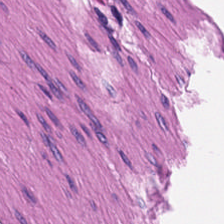H&E. Smooth-muscle tissue.
